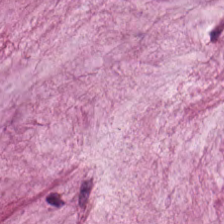Predominantly extracellular mucin.
